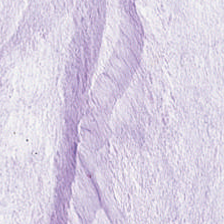Tissue type = mucin.
